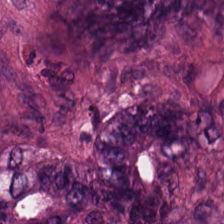Hematoxylin and eosin; formalin-fixed paraffin-embedded section. The predominant tissue is malignant epithelium.
